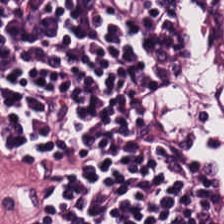Stain: hematoxylin and eosin.
Predominant tissue: lymphocytic infiltrate.
